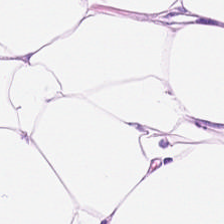The tissue class is adipose.
